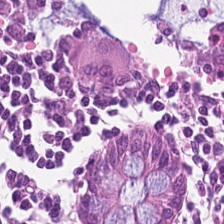Histology → normal colonic mucosa.
